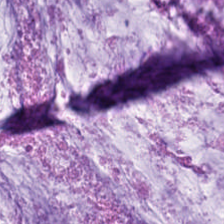H&E stain — The tissue here is mucin.
